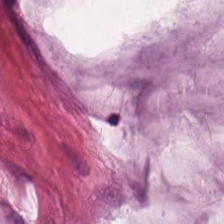H&E-stained tissue section. Tissue class = mucin.
